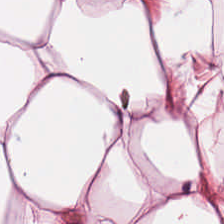H&E. Q: What tissue is shown?
A: The field shows fat tissue.
